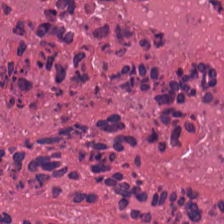Brightfield microscopy; 0.5 microns per pixel; hematoxylin-and-eosin stained section. Q: What type of tissue is this?
A: Debris.
